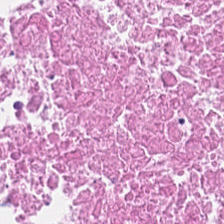Stain: hematoxylin-and-eosin stained section.
Tissue type: necrotic debris.
